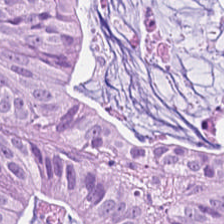0.5 microns per pixel. H&E stain. Q: What type of tissue is this?
A: The field shows colorectal adenocarcinoma.
